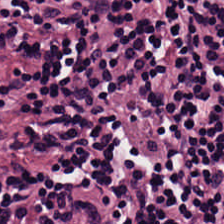Q: What is the predominant tissue type?
A: This is lymphocyte aggregate.
